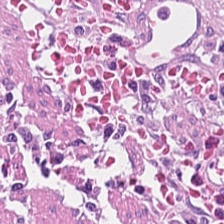H&E-stained tissue section. Cancer-associated stroma.
